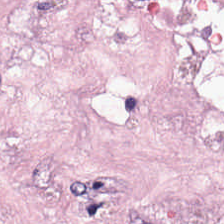H&E — Q: What type of tissue is this?
A: The field shows tumor stroma.
